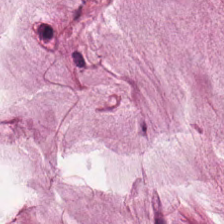0.5 µm per pixel · hematoxylin-and-eosin stained section.
Classification = extracellular mucin.
